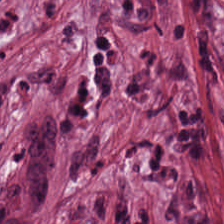H&E-stained tissue section. Q: Classify this patch.
A: Desmoplastic stroma.
